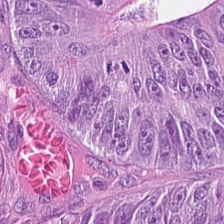Hematoxylin-and-eosin stained section.
The predominant tissue is malignant epithelium.
